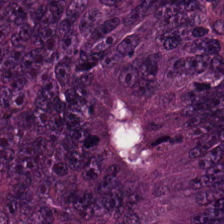FFPE tissue section; hematoxylin-and-eosin stained section. Impression — adenocarcinoma.
